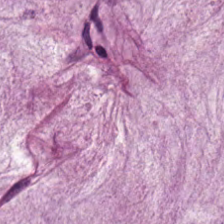Hematoxylin and eosin.
Mucin.
